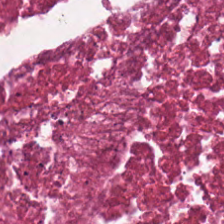Hematoxylin and eosin.
Cellular debris.
